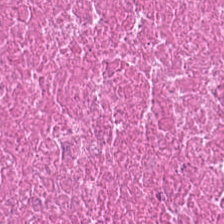H&E. Q: What does this patch show?
A: It is debris.
